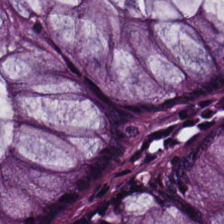H&E stain — Tissue = normal colonic mucosa.
